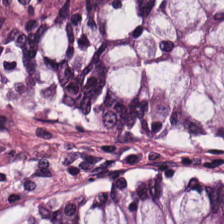H&E stain. 224×224 px patch.
The predominant tissue is normal colon mucosa.
